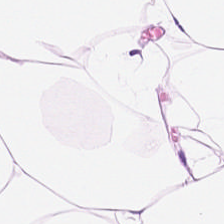WSI patch · hematoxylin and eosin. This patch shows adipose.
